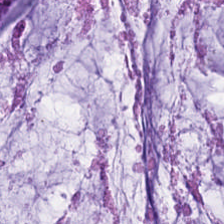Q: What tissue is shown?
A: This is extracellular mucin.
